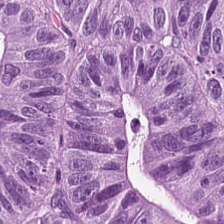Hematoxylin-and-eosin stained section; 20× equivalent magnification — The classification is tumor epithelium.
